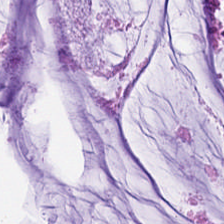H&E — Showing extracellular mucin.
